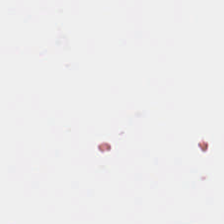Classification = empty background.
